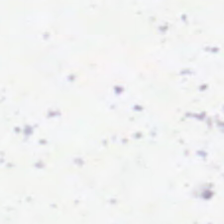Hematoxylin and eosin. This patch shows background.
